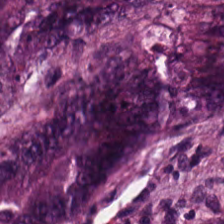H&E-stained tissue section.
The predominant tissue is malignant epithelium.
